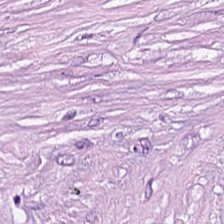Stain: H&E stain.
Preparation: FFPE.
Classification: cancer-associated stroma.
